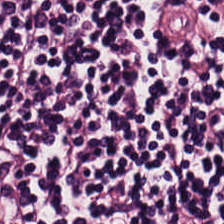224×224 px patch. H&E stain.
Predominant tissue: lymphocyte aggregate.
